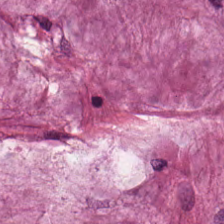Histology — mucus.
